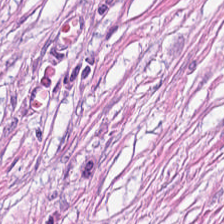Hematoxylin and eosin.
Showing desmoplastic stroma.
